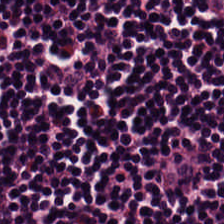Hematoxylin and eosin.
Lymphocytic infiltrate.
